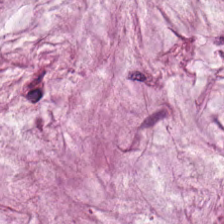Hematoxylin and eosin.
The tissue here is extracellular mucin.
